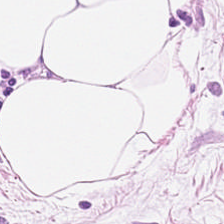Hematoxylin-and-eosin stained section. 224×224 px patch.
Fat tissue.
